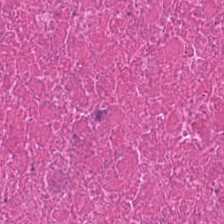0.5 µm/px; H&E-stained tissue section — Predominant tissue — cellular debris.
